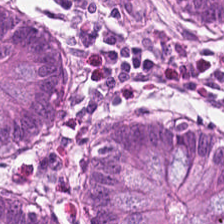H&E.
Q: What is shown here?
A: The field shows benign colonic mucosa.
